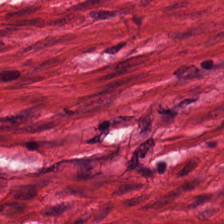FFPE tissue section · H&E-stained tissue section.
The predominant tissue is muscularis.
